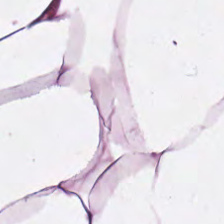This field is adipose.
